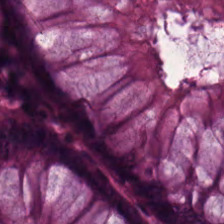Classification = normal colon mucosa.
